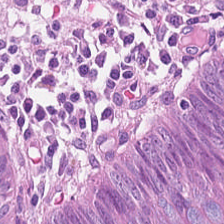Hematoxylin-and-eosin stained section. Q: What type of tissue is this?
A: This is colorectal adenocarcinoma epithelium.
